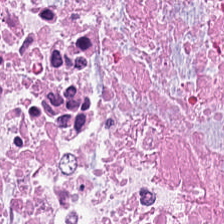H&E stain · 0.5 microns per pixel — Tissue — necrotic debris.
